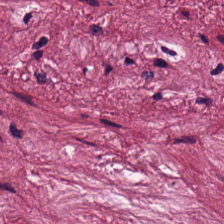0.5 µm per pixel; H&E-stained tissue section.
Showing tumor-associated stroma.
